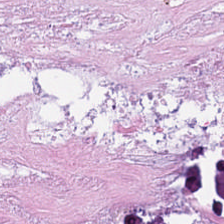Hematoxylin-and-eosin stained section. Predominantly cellular debris.
